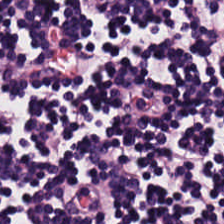Finding → lymphoid infiltrate.
